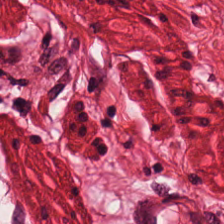Hematoxylin-and-eosin stained section.
Tissue class — smooth-muscle tissue.
